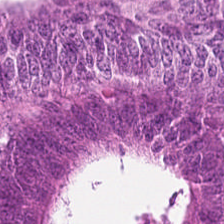H&E stain. Whole-slide-image patch. 224×224 pixel tile. This field is colorectal adenocarcinoma.
